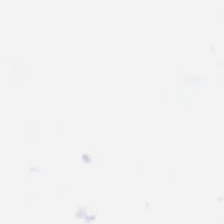H&E · WSI patch · FFPE tissue section. Q: What is shown here?
A: The field shows no tissue.
